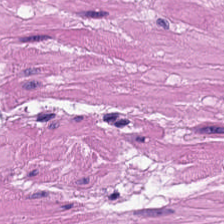Brightfield microscopy. Hematoxylin-and-eosin stained section. The predominant tissue is muscularis.
